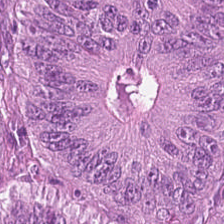H&E stain.
Finding → malignant epithelium.
